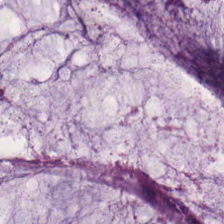Stain: hematoxylin and eosin.
Acquisition: WSI patch.
Tissue type: extracellular mucin.
